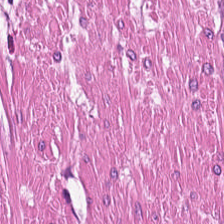Hematoxylin and eosin. {"tissue_type": "smooth-muscle tissue"}
